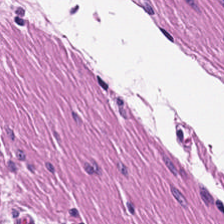Q: What does this patch show?
A: The field shows muscularis.
